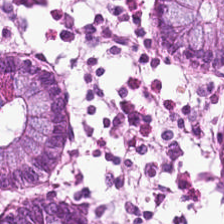224×224 pixel tile. 0.5 µm/px. Hematoxylin-and-eosin stained section.
Q: What tissue type is shown here?
A: Benign colonic mucosa.
